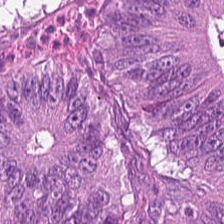FFPE; H&E; 0.5 µm per pixel.
Q: What is shown here?
A: Malignant epithelium.
